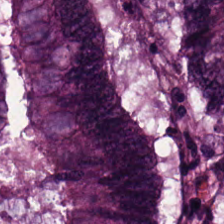Hematoxylin and eosin. Predominantly malignant epithelium.
